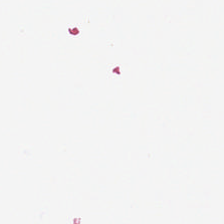Classification: no tissue.
